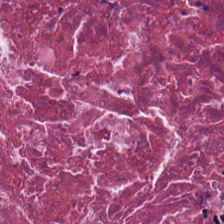H&E-stained tissue section. FFPE. 20× equivalent magnification — Showing necrotic debris.
